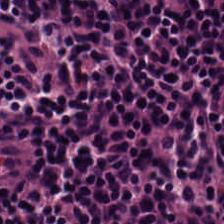Hematoxylin-and-eosin stained section. Histology → lymphocytic infiltrate.
